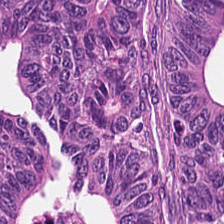Hematoxylin-and-eosin stained section.
Finding → tumor epithelium.
